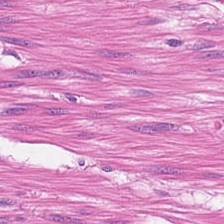Hematoxylin and eosin — This field is muscularis.
